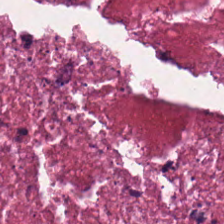Hematoxylin-and-eosin stained section. The classification is cellular debris.
